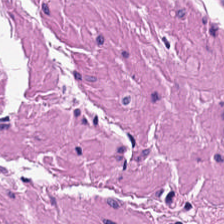H&E. 224×224 px tile. Formalin-fixed paraffin-embedded section. This field is smooth-muscle tissue.
